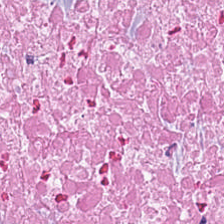20× equivalent magnification. H&E-stained tissue section.
The tissue here is necrotic debris.
